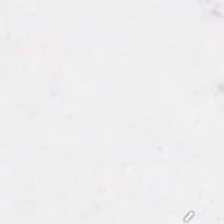Stain: hematoxylin-and-eosin stained section.
Resolution: 0.5 µm per pixel.
Acquisition: brightfield.
Field content: no tissue.
